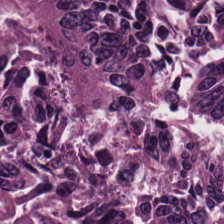Q: Classify this patch.
A: The field shows adenocarcinoma.
